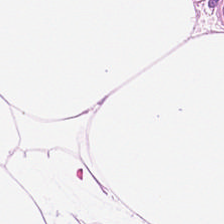H&E — adipose.
